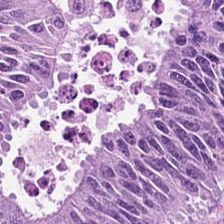Whole-slide-image patch · 0.5 microns per pixel · H&E.
Histology → colorectal adenocarcinoma epithelium.
